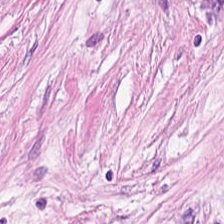0.5 µm/px; H&E-stained tissue section. Q: What tissue type is shown here?
A: Tumor stroma.
